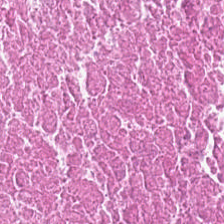Brightfield; hematoxylin-and-eosin stained section; 224×224 px patch — The tissue here is necrotic debris.
